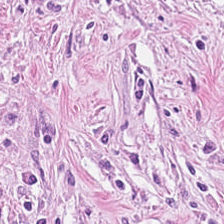Hematoxylin-and-eosin stained section; whole-slide-image patch.
Cancer-associated stroma.
